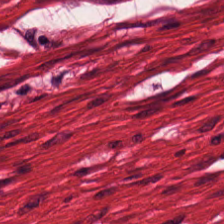0.5 microns per pixel. H&E-stained tissue section — Predominantly smooth-muscle tissue.
